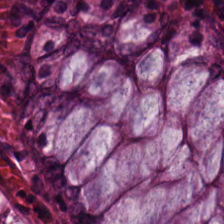Hematoxylin-and-eosin stained section · brightfield microscopy. Tissue class — benign colonic mucosa.
